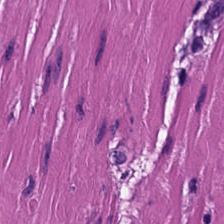Hematoxylin-and-eosin stained section. 224×224 px patch.
Predominantly smooth-muscle tissue.
